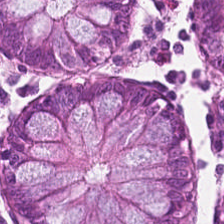The classification is normal colon mucosa.
